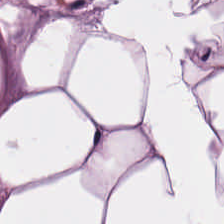Hematoxylin-and-eosin stained section · formalin-fixed paraffin-embedded section.
Impression — adipose.
